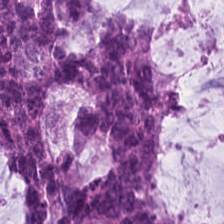This field is extracellular mucin.
